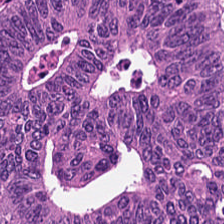Hematoxylin and eosin.
Colorectal adenocarcinoma.
